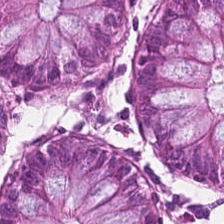Predominantly non-neoplastic colon mucosa.
